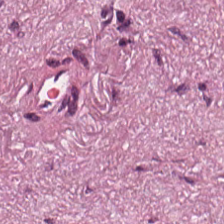Tissue class — cancer-associated stroma.
